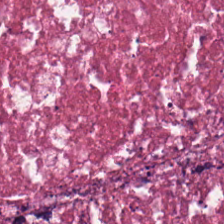Hematoxylin-and-eosin stained section · FFPE · 0.5 µm per pixel.
Q: What is shown in this field?
A: Necrotic debris.
